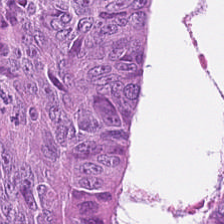Hematoxylin-and-eosin stained section — Q: What type of tissue is this?
A: Adenocarcinoma.
